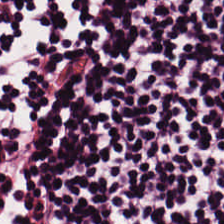FFPE · H&E-stained tissue section · brightfield microscopy — Lymphocyte aggregate.
